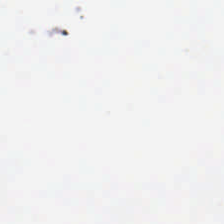This patch shows no tissue.
